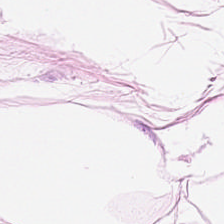H&E stain. Histology → adipose tissue.
